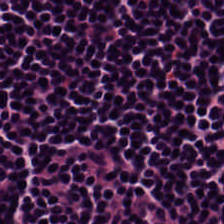H&E.
The tissue type is lymphocyte aggregate.
